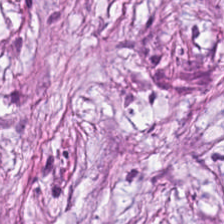224×224 px tile; 20× equivalent magnification; H&E stain — Tumor-associated stroma.
